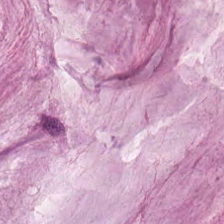Q: What tissue is shown?
A: Mucus.
